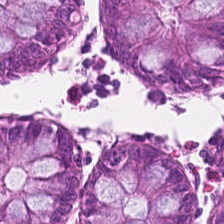Stain: hematoxylin-and-eosin stained section.
Tissue type: benign colonic mucosa.
